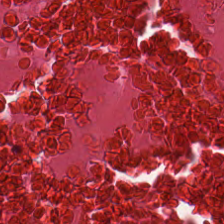Hematoxylin and eosin · FFPE tissue section — Q: Classify this patch.
A: Necrotic debris.
